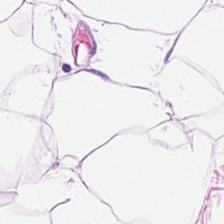H&E-stained section; the field shows adipocytes.
